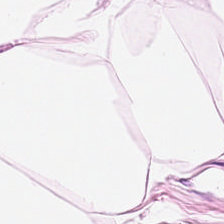H&E-stained tissue section.
Predominantly adipocytes.
